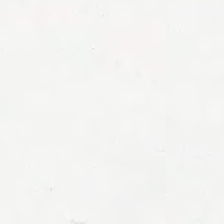Q: What is shown in this field?
A: The field shows background.
